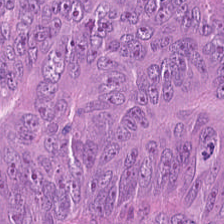Stain: hematoxylin-and-eosin stained section.
Preparation: FFPE tissue section.
Acquisition: WSI patch.
Tissue type: adenocarcinoma.
